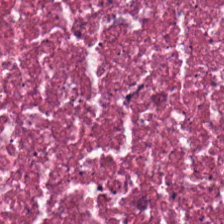H&E · whole-slide-image patch.
{"tissue_type": "debris"}
